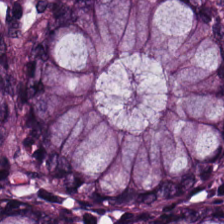{"tissue_type": "normal colonic mucosa"}
